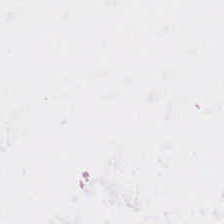Q: Classify this patch.
A: It is empty background.
